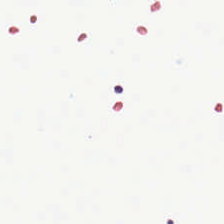H&E — Histology — empty background.
